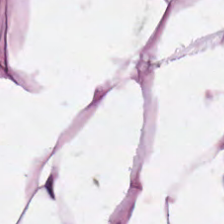H&E. {"tissue_type": "adipose tissue"}
